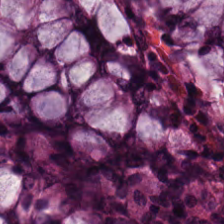20× equivalent magnification · hematoxylin-and-eosin stained section.
Tissue class: normal colon mucosa.
